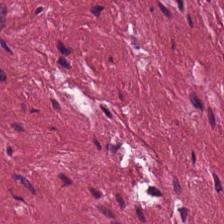H&E-stained tissue section.
Q: Classify this patch.
A: It is tumor stroma.
